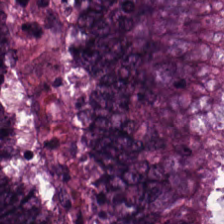Q: What is shown in this field?
A: Colorectal adenocarcinoma.
